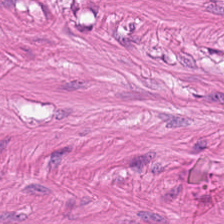Predominantly muscularis.
